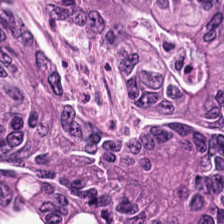Hematoxylin and eosin — The tissue here is colorectal adenocarcinoma.
